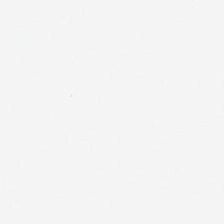H&E. {"content": "background"}
